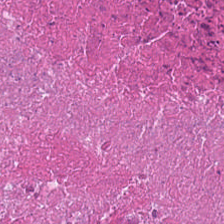Hematoxylin and eosin.
Q: What tissue type is shown here?
A: Debris.
